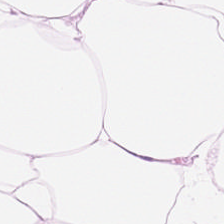Hematoxylin and eosin — Fat tissue.
